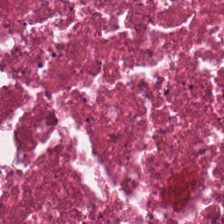Cellular debris.
